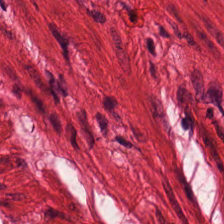Stain: H&E.
Tissue: smooth muscle.
